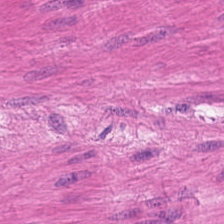H&E-stained tissue section · FFPE · whole-slide-image patch. Muscularis.
